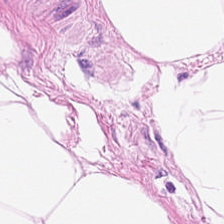FFPE tissue section; H&E; 224×224 px patch.
This patch shows adipose.
